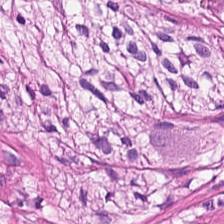Predominantly muscularis.
